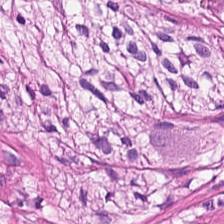Predominantly muscularis.
